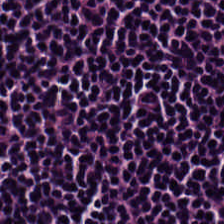H&E stain.
Lymphocytes.
